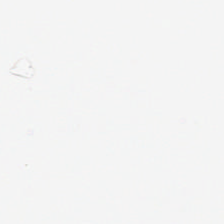Stain: H&E stain.
Field content: background.
